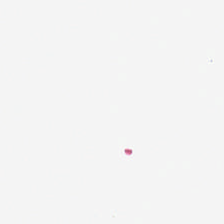Hematoxylin-and-eosin stained section. Field content — empty background.
